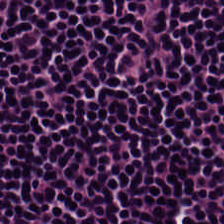Stain: hematoxylin and eosin.
Resolution: 0.5 microns per pixel.
Tile size: 224×224 px patch.
Tissue type: lymphocytes.
